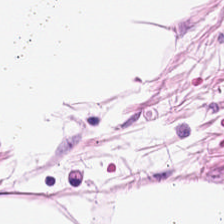Q: What does this patch show?
A: The field shows adipocytes.
